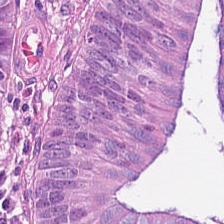H&E · 20× equivalent magnification.
Q: What type of tissue is this?
A: Colorectal adenocarcinoma.
